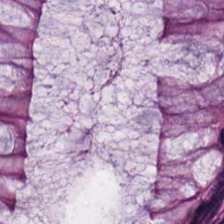The tissue here is benign colonic mucosa.
